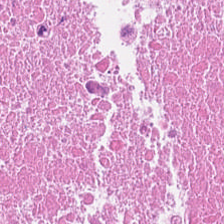Hematoxylin-and-eosin stained section · FFPE tissue section. Q: What type of tissue is this?
A: It is necrotic debris.
